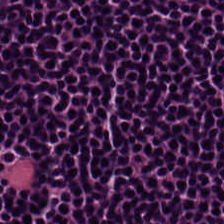Hematoxylin and eosin. This field is lymphocytic infiltrate.
